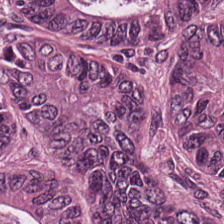H&E stain. FFPE tissue section — Showing tumor epithelium.
